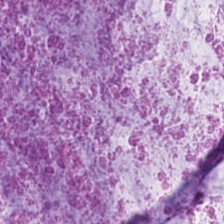Hematoxylin-and-eosin stained section; 224×224 pixel tile.
{"tissue_type": "mucus"}
